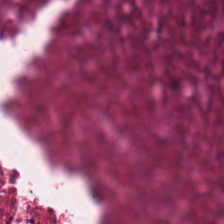Tissue type: debris.
